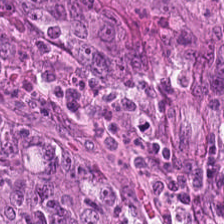H&E patch showing tumor epithelium.
